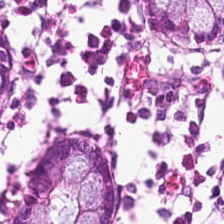Brightfield; hematoxylin and eosin. {"tissue_type": "non-neoplastic colon mucosa"}
